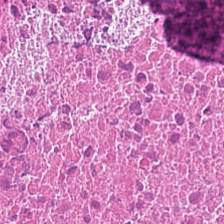Cellular debris.
